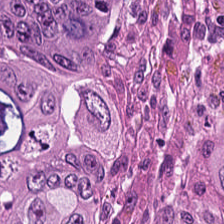WSI patch; H&E — Impression → adenocarcinoma.
